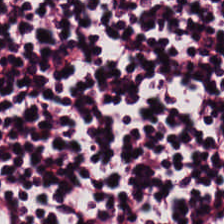H&E — Tissue type — lymphocytes.
